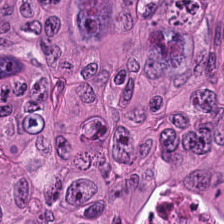Hematoxylin and eosin. Classification: malignant epithelium.
